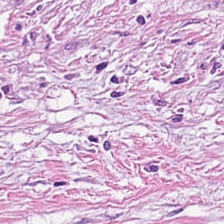0.5 µm per pixel; 224×224 px patch; hematoxylin-and-eosin stained section. This patch shows tumor stroma.
